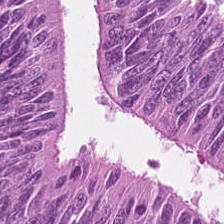Showing colorectal adenocarcinoma.
